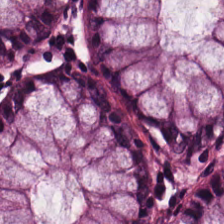Stain: H&E stain.
Predominant tissue: normal colon mucosa.
